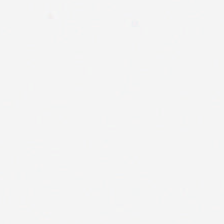H&E — Empty field — empty background.
